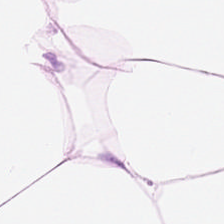The predominant tissue is adipose.
